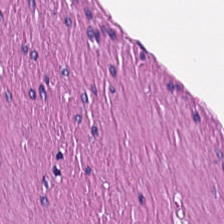Stain: H&E-stained tissue section.
Tissue type: smooth-muscle tissue.
